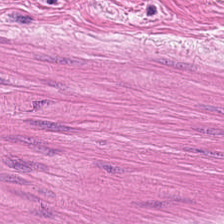Hematoxylin and eosin.
This field is smooth-muscle tissue.
